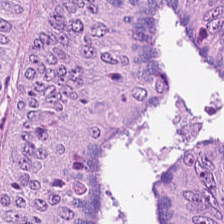H&E stain — Malignant epithelium.
